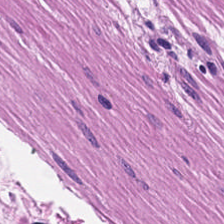Hematoxylin-and-eosin stained section.
Predominantly smooth muscle.
